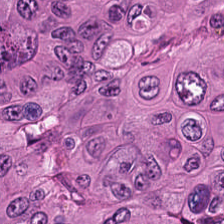Brightfield microscopy. Hematoxylin-and-eosin stained section — Impression — malignant epithelium.
